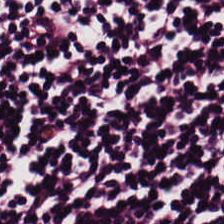Hematoxylin-and-eosin stained section. This patch shows lymphocytes.
